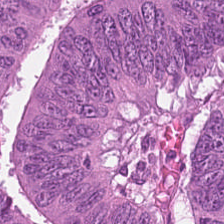Hematoxylin-and-eosin stained section — The predominant tissue is malignant epithelium.
